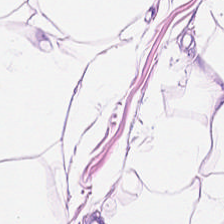H&E stain. Predominant tissue — adipocytes.
